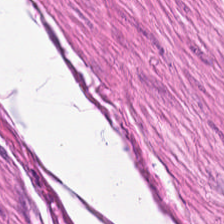Hematoxylin-and-eosin stained section.
Tissue — smooth-muscle tissue.
